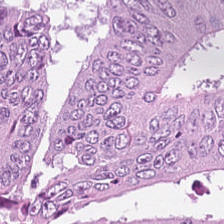Stain: hematoxylin-and-eosin stained section.
Tile size: 224×224 px tile.
Preparation: formalin-fixed paraffin-embedded section.
Classification: adenocarcinoma.
